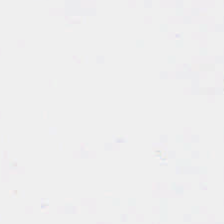{"content": "empty background"}
